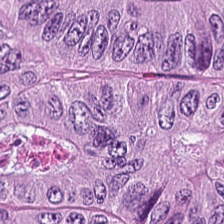Whole-slide-image patch. H&E stain. Classification = colorectal adenocarcinoma.
